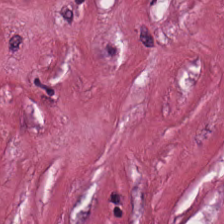This patch shows desmoplastic stroma.
